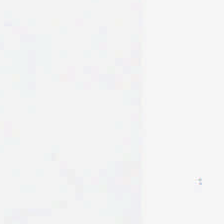H&E-stained tissue section. 224×224 pixel tile.
Histology — no tissue.
